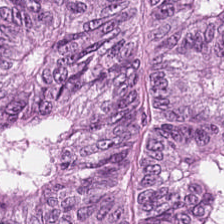H&E-stained tissue section. Predominantly colorectal adenocarcinoma.
